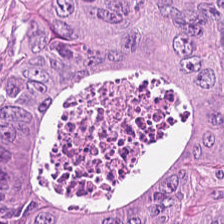H&E-stained tissue section. Showing malignant epithelium.
